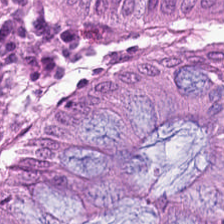H&E. Predominantly non-neoplastic colon mucosa.
